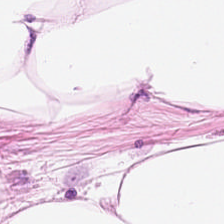Hematoxylin-and-eosin stained section · FFPE.
Predominant tissue — adipose tissue.
